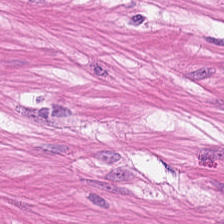H&E. 224×224 pixel tile. Finding → smooth muscle.
